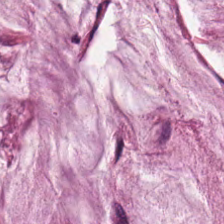H&E. 0.5 µm per pixel — Tissue class — mucus.
